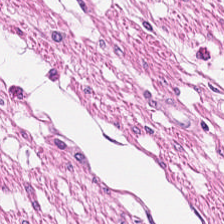This field is smooth-muscle tissue.
